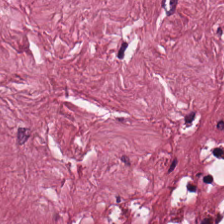The predominant tissue is cancer-associated stroma.
